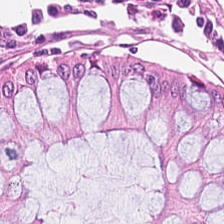0.5 µm per pixel · hematoxylin and eosin. Q: What tissue is shown?
A: This is benign colonic mucosa.
